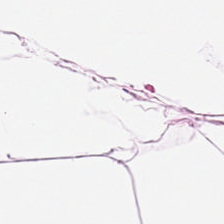Tissue class = adipose tissue.
